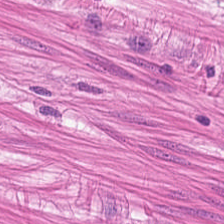Hematoxylin-and-eosin stained section. 0.5 µm per pixel.
The classification is smooth-muscle tissue.
